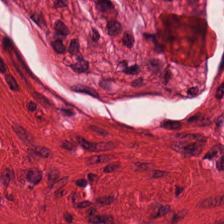H&E stain. FFPE. Q: Classify this patch.
A: It is smooth muscle.
